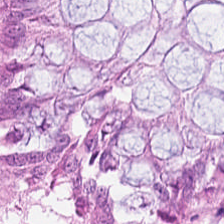Predominantly normal colonic mucosa.
